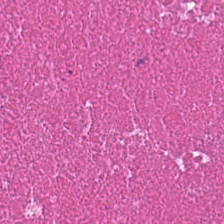Finding → necrotic debris.
